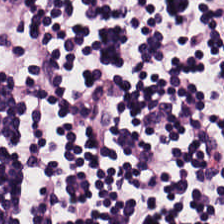Stain: H&E stain.
Tissue class: lymphocyte aggregate.
